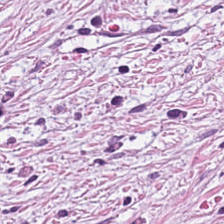H&E-stained tissue section showing cancer-associated stroma.
